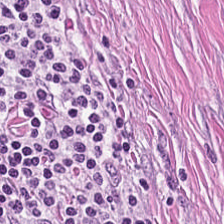H&E. 0.5 microns per pixel. Desmoplastic stroma.
